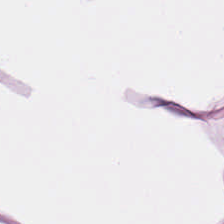Stain: H&E.
Preparation: formalin-fixed paraffin-embedded section.
Tissue: fat tissue.
